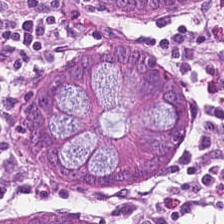FFPE. Brightfield. Hematoxylin and eosin — Predominant tissue = non-neoplastic colon mucosa.
